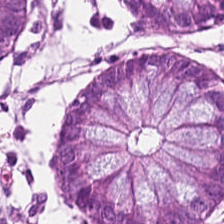The tissue type is normal colonic mucosa.
